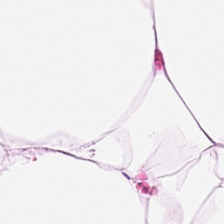H&E stain — Q: What tissue type is shown here?
A: Adipocytes.
